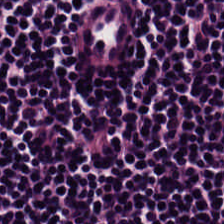Hematoxylin and eosin — {"tissue_type": "lymphocytes"}
